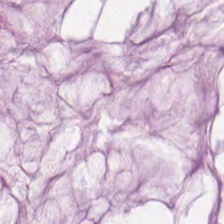Hematoxylin and eosin — This patch shows mucus.
